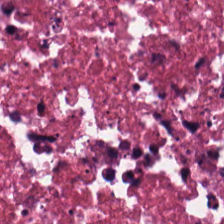224×224 pixel tile · H&E — This patch shows necrotic debris.
